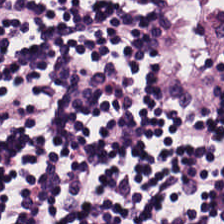H&E stain.
The classification is lymphocytes.
